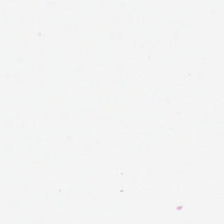20× equivalent magnification; H&E-stained tissue section; brightfield.
This field is background (no tissue).
